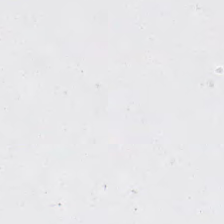H&E stain. Classification = background (no tissue).
